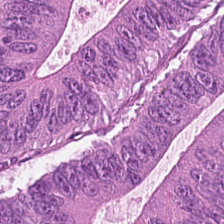H&E-stained tissue section showing colorectal adenocarcinoma.
